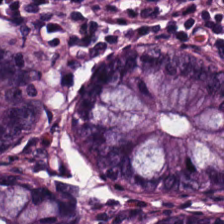Brightfield microscopy; H&E — Tissue type — normal colonic mucosa.
